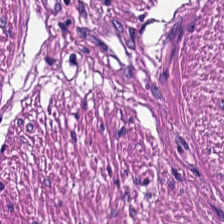Hematoxylin-and-eosin stained section.
Q: What type of tissue is this?
A: The field shows smooth muscle.
